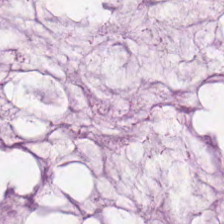H&E · FFPE. Showing mucus.
